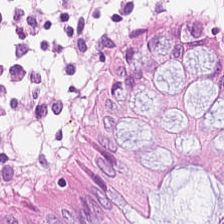Hematoxylin-and-eosin stained section — The predominant tissue is non-neoplastic colon mucosa.
